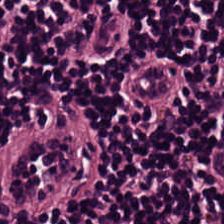Hematoxylin-and-eosin stained section — This patch shows lymphoid infiltrate.
